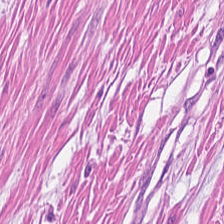Finding → smooth muscle.
